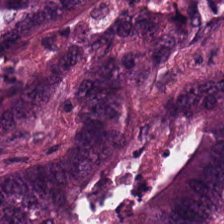FFPE tissue section; H&E. Impression → colorectal adenocarcinoma.
